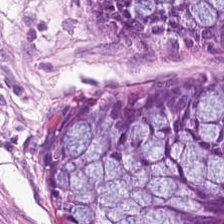Q: What is shown here?
A: Normal colon mucosa.
